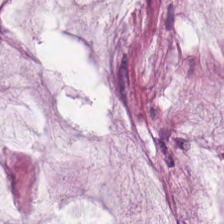Hematoxylin-and-eosin stained section · 224×224 pixel tile · FFPE tissue section — Showing extracellular mucin.
